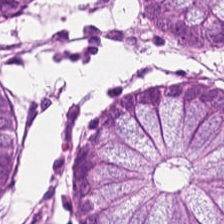WSI patch. H&E — The tissue here is normal colonic mucosa.
